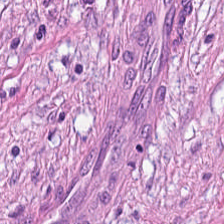Q: What tissue type is shown here?
A: It is cancer-associated stroma.
